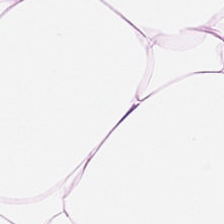H&E-stained tissue section.
{"tissue_type": "adipose"}
